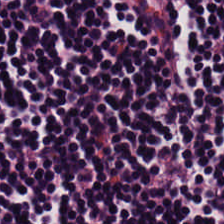Stain: hematoxylin and eosin.
Acquisition: WSI patch.
Tissue type: lymphocytes.
